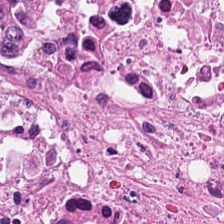H&E.
This patch shows cellular debris.
